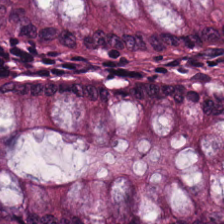H&E-stained tissue section.
Q: What is shown in this field?
A: The field shows normal colonic mucosa.
